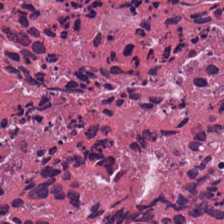WSI patch · hematoxylin and eosin — This field is necrotic debris.
